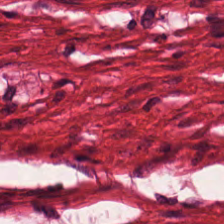Stain: hematoxylin and eosin.
Tissue: smooth-muscle tissue.
